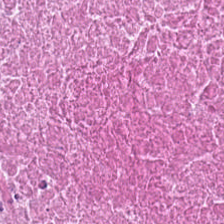H&E stain.
Debris.
